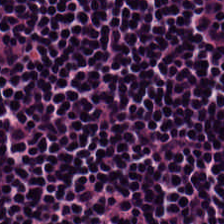H&E.
Q: What is shown in this field?
A: It is lymphocyte aggregate.
